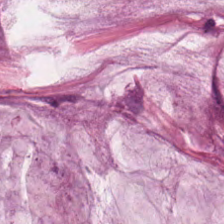H&E. Histology — extracellular mucin.
